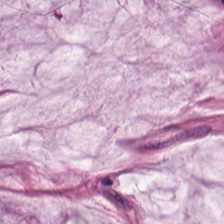H&E-stained tissue section.
Q: What is the predominant tissue type?
A: This is extracellular mucin.
